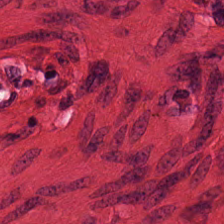Hematoxylin-and-eosin stained section. Showing smooth-muscle tissue.
